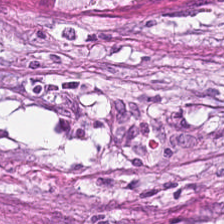H&E-stained tissue section; FFPE tissue section; 224×224 px tile. Q: Identify the tissue.
A: Tumor-associated stroma.
